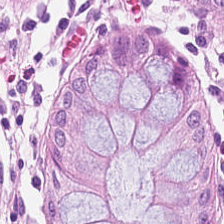Q: What tissue is shown?
A: Normal colonic mucosa.
